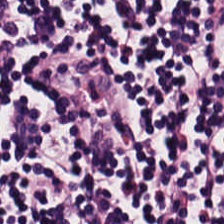Stain: H&E-stained tissue section.
Preparation: formalin-fixed paraffin-embedded section.
Classification: lymphocytic infiltrate.
